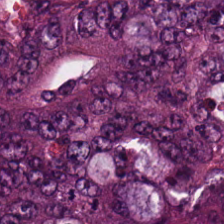Hematoxylin and eosin. Q: What is shown in this field?
A: This is malignant epithelium.
